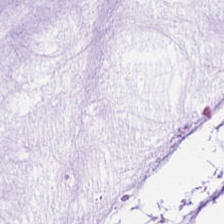H&E patch showing extracellular mucin.
